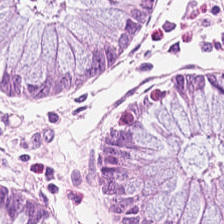H&E stain. WSI patch — Normal colonic mucosa.
